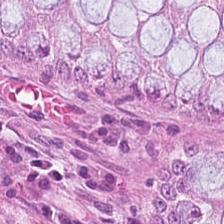Hematoxylin and eosin. Q: What type of tissue is this?
A: The field shows benign colonic mucosa.
